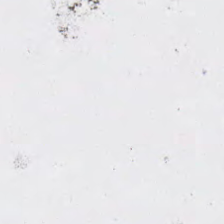Hematoxylin and eosin. Formalin-fixed paraffin-embedded section — This field is background (no tissue).
